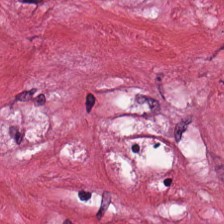The tissue type is desmoplastic stroma.
